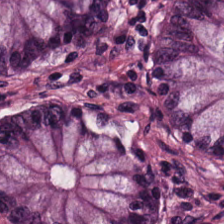224×224 px tile; H&E.
The tissue here is benign colonic mucosa.
